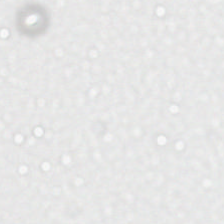Brightfield; H&E stain — Q: Classify this patch.
A: It is no tissue.
